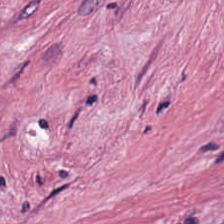Stain: hematoxylin-and-eosin stained section.
Resolution: 0.5 µm per pixel.
Acquisition: whole-slide-image patch.
Tissue type: cancer-associated stroma.
